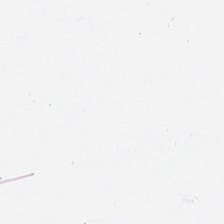Q: Identify the tissue.
A: This is adipose.
